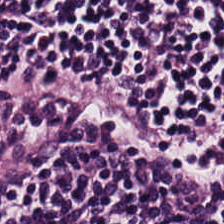H&E — This patch shows lymphoid infiltrate.
